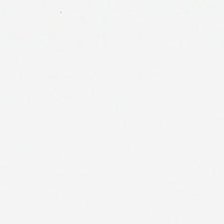H&E stain — Field content: background (no tissue).
